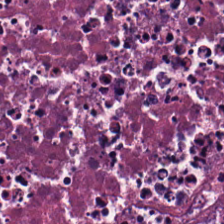H&E.
The predominant tissue is debris.
